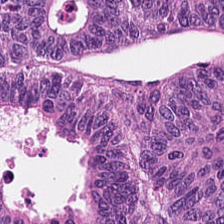Impression → colorectal adenocarcinoma epithelium.
